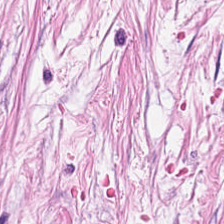Hematoxylin and eosin — Tissue class = tumor-associated stroma.
